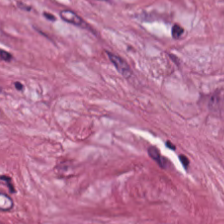Hematoxylin and eosin. Brightfield microscopy. 0.5 µm/px.
Tissue class: tumor stroma.
